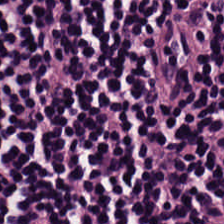H&E-stained tissue section. Showing lymphocytes.
